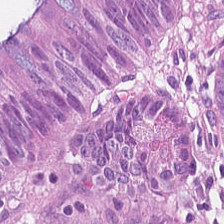H&E. Histology — colorectal adenocarcinoma.
